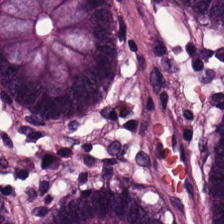Hematoxylin and eosin — Histology → normal colonic mucosa.
